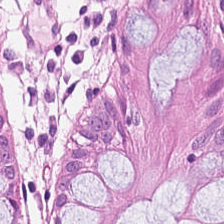Hematoxylin-and-eosin stained section.
Showing non-neoplastic colon mucosa.
